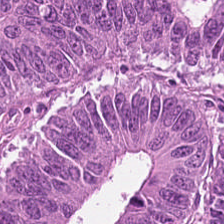Stain: hematoxylin-and-eosin stained section.
Resolution: 0.5 µm/px.
Tile size: 224×224 px patch.
Predominant tissue: colorectal adenocarcinoma epithelium.
